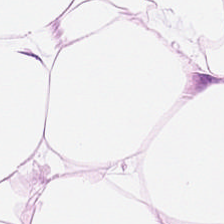Hematoxylin-and-eosin stained section.
The classification is adipose.
